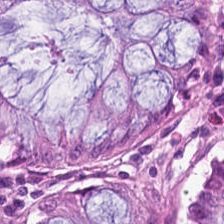Tissue: normal colon mucosa.
